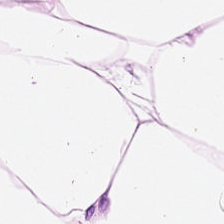This patch shows fat tissue.
